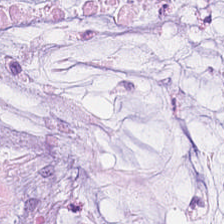Showing mucus.
